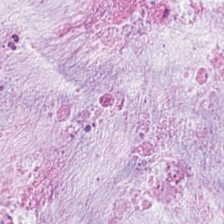Histology — extracellular mucin.
